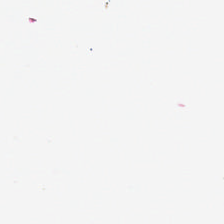No tissue.
